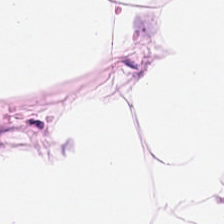H&E stain.
Finding — adipocytes.
